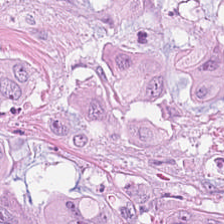Stain: hematoxylin and eosin.
Tile size: 224×224 px tile.
Tissue class: adenocarcinoma.
